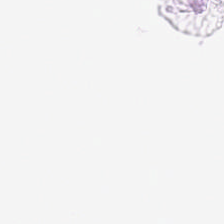The classification is background (no tissue).
